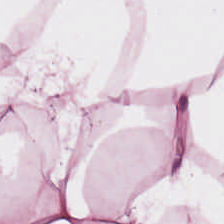Formalin-fixed paraffin-embedded section; H&E-stained tissue section. Histology → adipose tissue.
